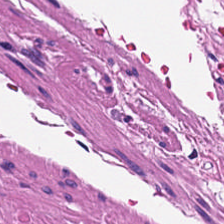Hematoxylin and eosin.
Predominantly smooth muscle.
